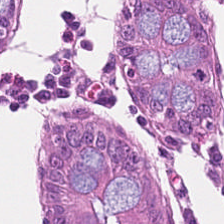Tissue type — normal colonic mucosa.
